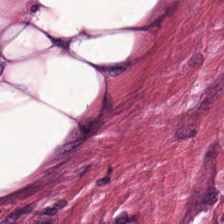Hematoxylin and eosin. 20× equivalent magnification.
Q: Classify this patch.
A: Desmoplastic stroma.
